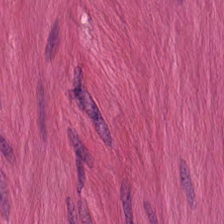Tissue type = muscularis.
